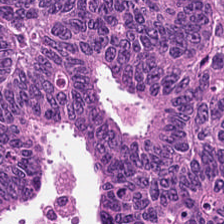Hematoxylin-and-eosin stained section — This field is colorectal adenocarcinoma epithelium.
